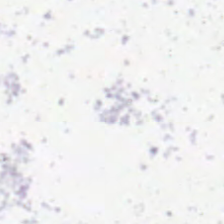Brightfield · hematoxylin-and-eosin stained section — {"content": "no tissue"}
